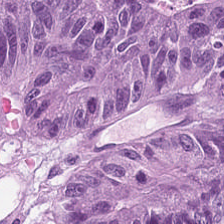224×224 pixel tile. Hematoxylin and eosin — Q: Classify this patch.
A: It is malignant epithelium.
